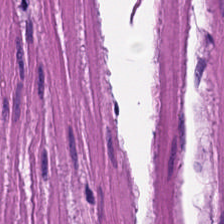Hematoxylin and eosin — Tissue class — smooth muscle.
